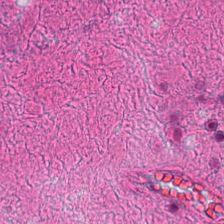Q: Classify this patch.
A: The field shows cellular debris.
